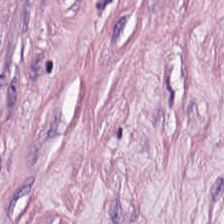Hematoxylin and eosin — Q: Classify this patch.
A: It is desmoplastic stroma.
